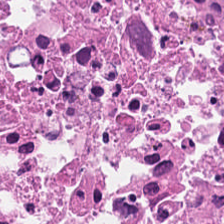Q: What type of tissue is this?
A: It is debris.
